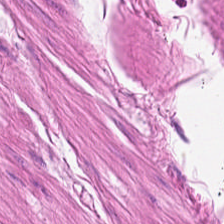Stain: H&E stain.
Acquisition: whole-slide-image patch.
Tissue type: smooth muscle.
